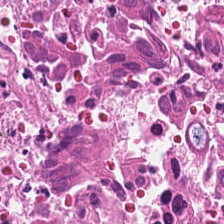Tissue type: debris.
